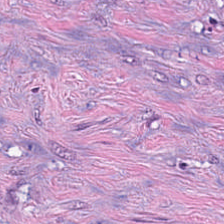20× equivalent magnification; hematoxylin and eosin; formalin-fixed paraffin-embedded section.
Classification — tumor-associated stroma.
